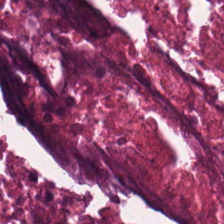Hematoxylin-and-eosin stained section. Debris.
